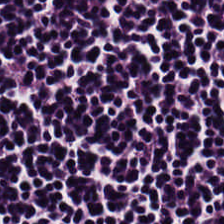H&E. The tissue here is lymphocytes.
